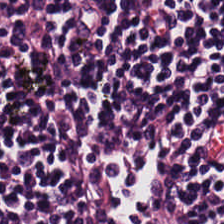20× equivalent magnification. H&E-stained tissue section — Lymphoid infiltrate.
